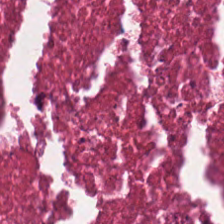Q: What does this patch show?
A: It is debris.
